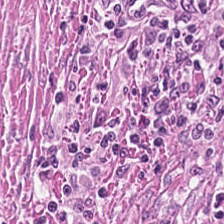224×224 px patch · 0.5 microns per pixel · H&E.
{"tissue_type": "tumor-associated stroma"}
